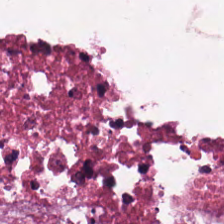The tissue type is necrotic debris.
